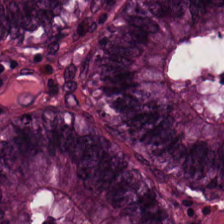Hematoxylin-and-eosin stained section. The classification is normal colon mucosa.
